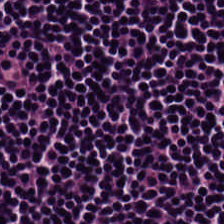224×224 px patch; whole-slide-image patch; H&E-stained tissue section.
Q: What is shown in this field?
A: The field shows lymphocytes.
